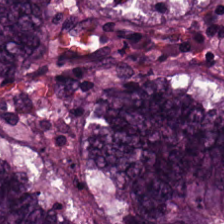H&E — Impression → tumor epithelium.
